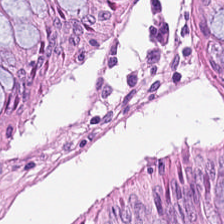H&E-stained tissue section — Classification: benign colonic mucosa.
